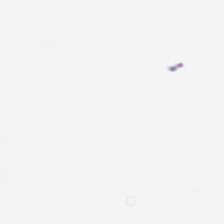Hematoxylin and eosin. Empty field — empty background.
